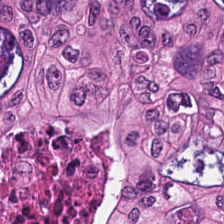Hematoxylin-and-eosin stained section. Finding — tumor epithelium.
